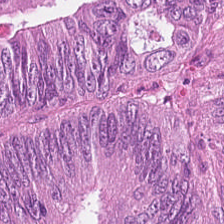Brightfield. Hematoxylin and eosin. 224×224 px tile.
The tissue here is colorectal adenocarcinoma epithelium.
